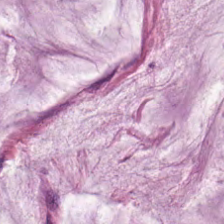Hematoxylin and eosin. Predominantly extracellular mucin.
